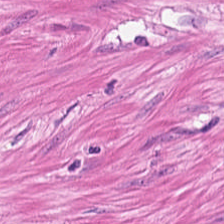0.5 µm/px; H&E stain; whole-slide-image patch — Q: What does this patch show?
A: This is smooth-muscle tissue.
